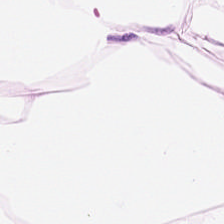Stain: hematoxylin and eosin.
Preparation: FFPE tissue section.
Tissue class: adipose tissue.
